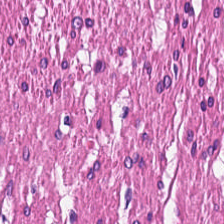H&E-stained tissue section showing smooth muscle.
